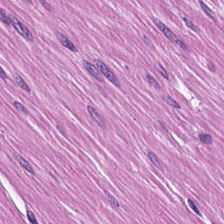0.5 µm per pixel. H&E stain. 224×224 pixel tile — Finding → muscularis.
